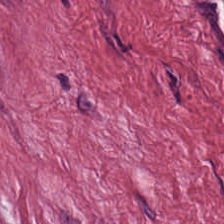The tissue here is tumor-associated stroma.
